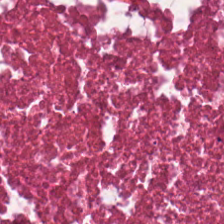Hematoxylin-and-eosin stained section · FFPE · 0.5 microns per pixel — Showing cellular debris.
